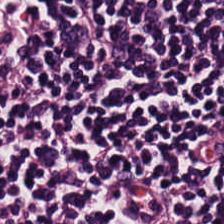Hematoxylin and eosin. This patch shows lymphocyte aggregate.
